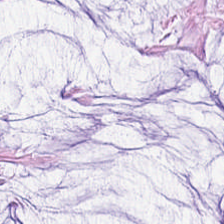H&E. Finding — mucin.
